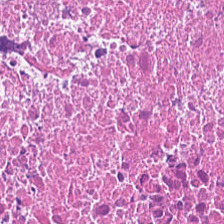Stain: hematoxylin and eosin.
Classification: cellular debris.
